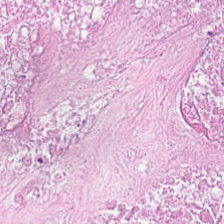H&E stain — Tissue = necrotic debris.
